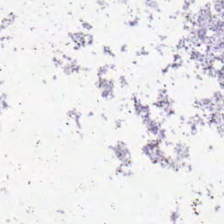Stain: H&E stain.
Resolution: 0.5 µm per pixel.
Preparation: FFPE tissue section.
Classification: empty background.
